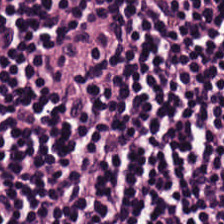Hematoxylin and eosin. Showing lymphocytic infiltrate.
